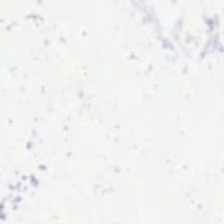0.5 µm per pixel · H&E-stained tissue section · 224×224 px tile. Q: What is shown in this field?
A: The field shows empty background.
